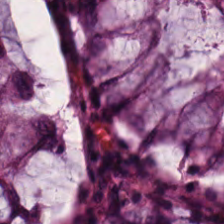224×224 px patch · hematoxylin-and-eosin stained section. This patch shows non-neoplastic colon mucosa.
